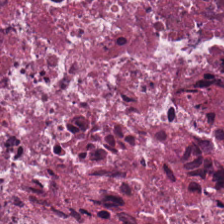H&E — Histology — necrotic debris.
